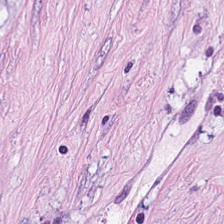Hematoxylin-and-eosin stained section; 224×224 pixel tile. Showing tumor stroma.
